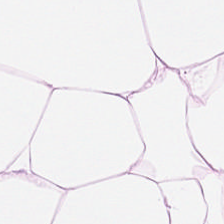224×224 pixel tile · H&E — The tissue is adipose tissue.
